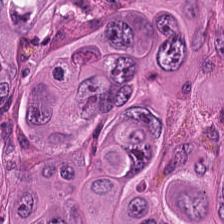H&E. FFPE tissue section.
Predominantly adenocarcinoma.
